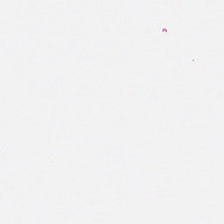Stain: hematoxylin-and-eosin stained section.
Preparation: FFPE tissue section.
Tile size: 224×224 pixel tile.
Content: background (no tissue).
